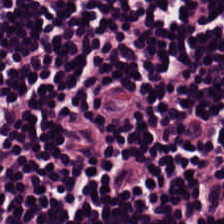Stain: H&E stain.
Resolution: 0.5 µm per pixel.
Classification: lymphocytic infiltrate.
